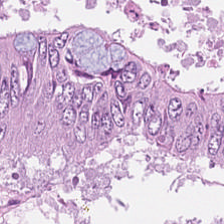Hematoxylin-and-eosin stained section — This patch shows tumor epithelium.
